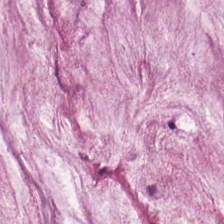Predominantly extracellular mucin.
